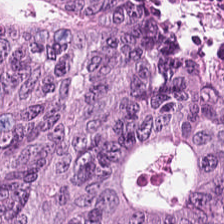Hematoxylin and eosin. This patch shows colorectal adenocarcinoma epithelium.
